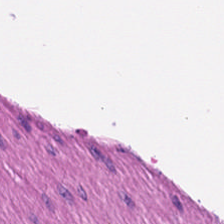Predominantly muscularis.
